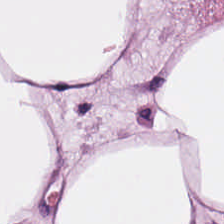Hematoxylin and eosin · brightfield microscopy. The tissue class is adipose.
